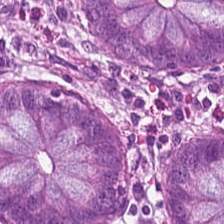H&E stain.
Predominantly benign colonic mucosa.
